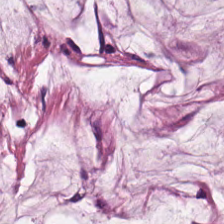20× equivalent magnification · H&E. Impression — extracellular mucin.
